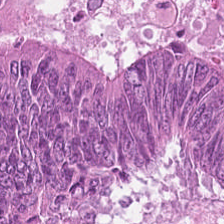Hematoxylin and eosin · brightfield — The tissue class is malignant epithelium.
